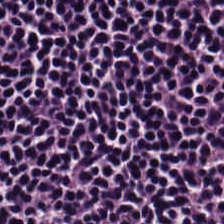H&E-stained tissue section — Predominantly lymphocyte aggregate.
